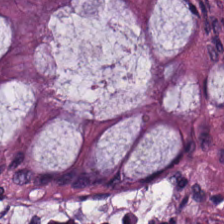H&E-stained tissue section showing normal colon mucosa.
